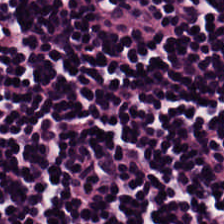H&E stain · 0.5 µm per pixel.
Tissue type = lymphocytes.
